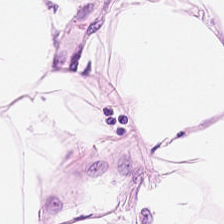Hematoxylin-and-eosin stained section — The tissue here is adipocytes.
